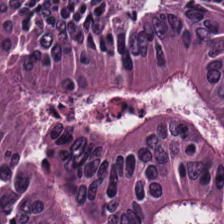H&E stain.
Tissue = colorectal adenocarcinoma epithelium.
